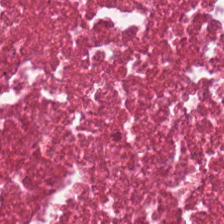H&E stain. Q: What is shown here?
A: Necrotic debris.
